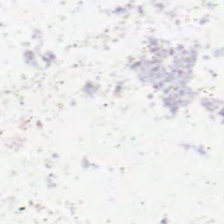H&E-stained tissue section. Formalin-fixed paraffin-embedded section. 224×224 pixel tile.
The field content is background (no tissue).
